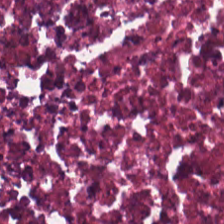WSI patch. Hematoxylin-and-eosin stained section. Finding — necrotic debris.
